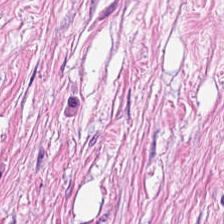Histology — desmoplastic stroma.
